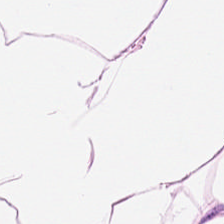H&E; brightfield microscopy. Q: What does this patch show?
A: It is adipose tissue.
